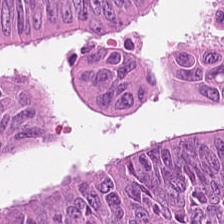Hematoxylin-and-eosin section: colorectal adenocarcinoma epithelium.
